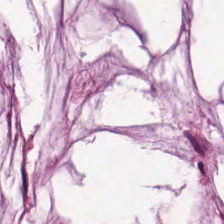H&E.
Impression — extracellular mucin.
